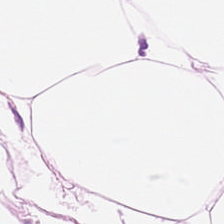H&E-stained tissue section — This patch shows adipocytes.
